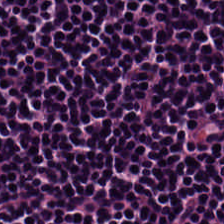0.5 µm per pixel. H&E-stained tissue section — Q: What is shown in this field?
A: The field shows lymphoid infiltrate.
